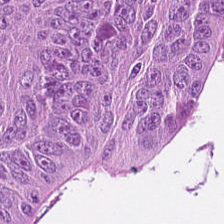Stain: hematoxylin-and-eosin stained section.
Preparation: FFPE.
Acquisition: brightfield microscopy.
Classification: malignant epithelium.
